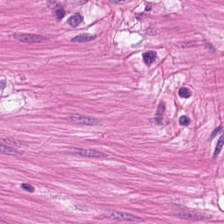Hematoxylin and eosin — This field is smooth muscle.
